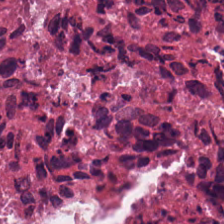The tissue here is debris.
